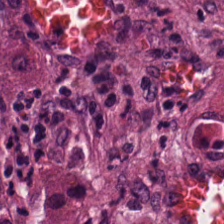The predominant tissue is cancer-associated stroma.
